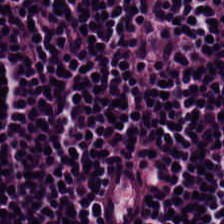Brightfield microscopy; formalin-fixed paraffin-embedded section; H&E-stained tissue section — Showing lymphocytes.
